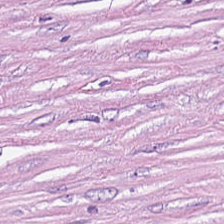Hematoxylin and eosin. FFPE.
This field is desmoplastic stroma.
